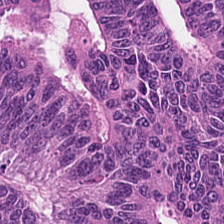Whole-slide-image patch; hematoxylin-and-eosin stained section; FFPE.
The predominant tissue is adenocarcinoma.
